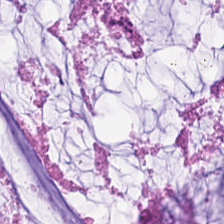The tissue here is extracellular mucin.
